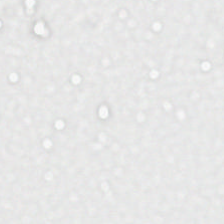Empty field — no tissue.
